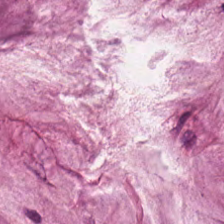Stain: H&E stain.
Tissue class: extracellular mucin.
